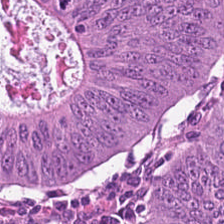224×224 pixel tile; hematoxylin and eosin; FFPE.
Histology — malignant epithelium.
